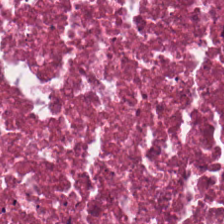H&E — cellular debris.
